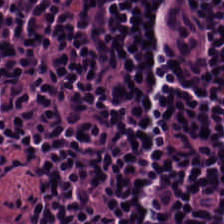Classification: lymphocytic infiltrate.
